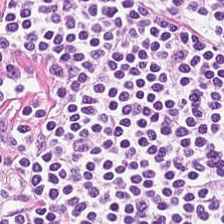H&E stain · 224×224 pixel tile · brightfield. Impression — lymphocyte aggregate.
